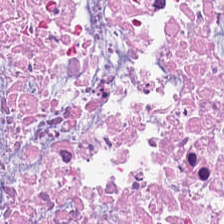H&E-stained tissue section. WSI patch. 224×224 px tile — Showing necrotic debris.
